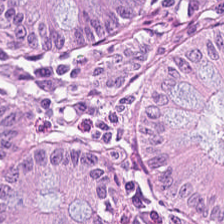Hematoxylin and eosin; 224×224 px tile — Classification — normal colonic mucosa.
